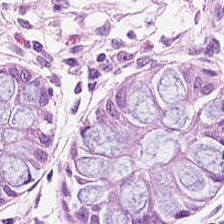H&E stain · brightfield · 224×224 px patch — Showing benign colonic mucosa.
